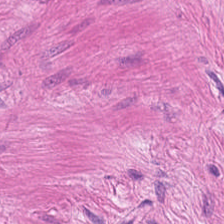H&E · FFPE.
Tissue class: muscularis.
